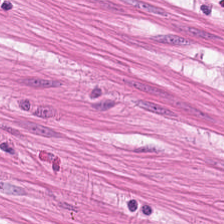This field is muscularis.
